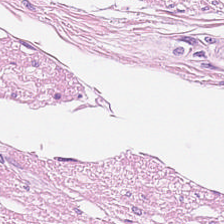Classification — muscularis.
